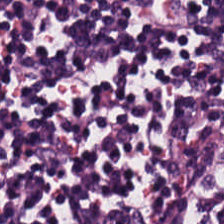H&E · FFPE tissue section · 224×224 px patch — Predominant tissue — lymphocytic infiltrate.
